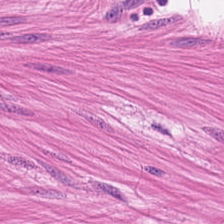Histology → smooth muscle.
